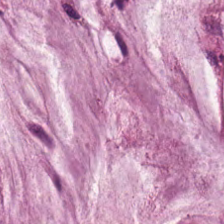Hematoxylin-and-eosin stained section.
Q: Identify the tissue.
A: This is mucus.
